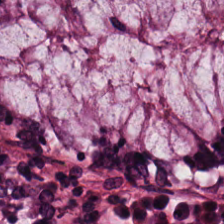Histology → normal colonic mucosa.
